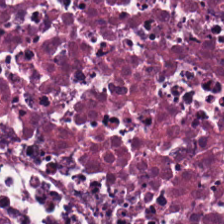Impression → debris.
